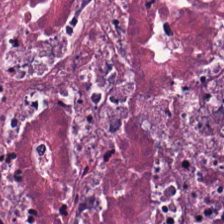Classification = debris.
